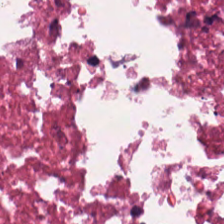H&E · FFPE tissue section. Predominantly debris.
